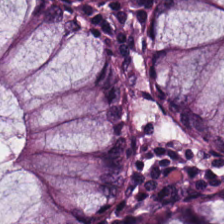Stain: H&E-stained tissue section.
Tissue class: normal colonic mucosa.
